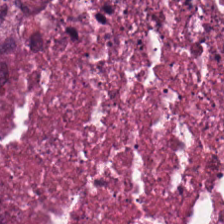Q: What does this patch show?
A: The field shows debris.
